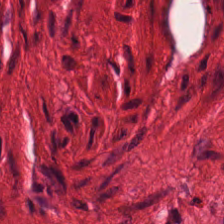H&E; whole-slide-image patch — Impression → muscularis.
